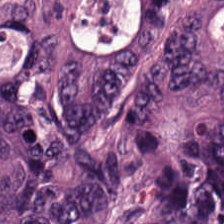Formalin-fixed paraffin-embedded section; 224×224 px patch; H&E-stained tissue section.
Tissue = tumor epithelium.
